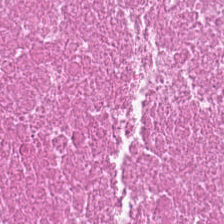Hematoxylin-and-eosin stained section. Predominantly debris.
